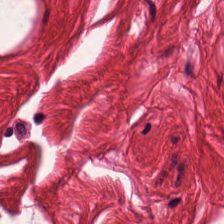Hematoxylin-and-eosin stained section · 0.5 microns per pixel · WSI patch — {"tissue_type": "smooth muscle"}
